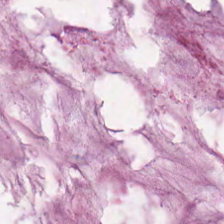Hematoxylin-and-eosin stained section. Q: What tissue type is shown here?
A: This is mucus.
